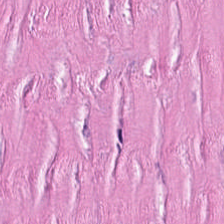This field is tumor stroma.
